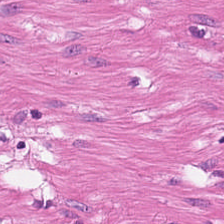0.5 microns per pixel · hematoxylin and eosin. This patch shows smooth muscle.
